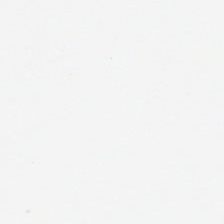H&E stain. Background — no tissue in this field.
